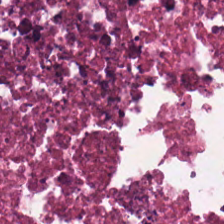Stain: hematoxylin and eosin.
Resolution: 0.5 microns per pixel.
Classification: debris.
